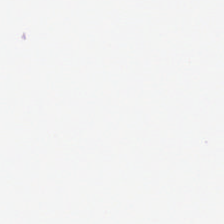H&E-stained tissue section — Classification = background (no tissue).
